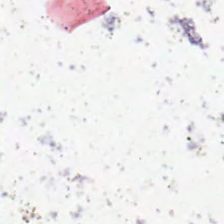H&E-stained tissue section. FFPE tissue section — This patch shows no tissue.
